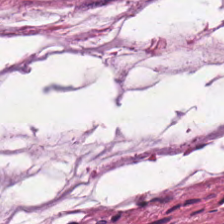Stain: H&E stain.
Classification: extracellular mucin.
